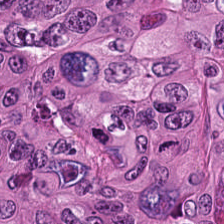H&E-stained tissue section showing malignant epithelium.
